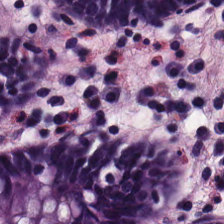Whole-slide-image patch · H&E stain · FFPE tissue section — Histology → normal colonic mucosa.
